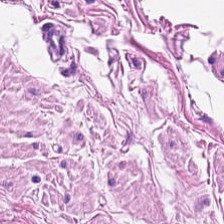H&E-stained tissue section; 20× equivalent magnification — The tissue is smooth muscle.
